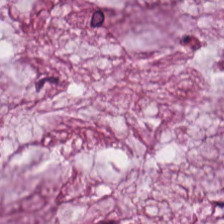Stain: H&E-stained tissue section.
Tissue: mucus.
